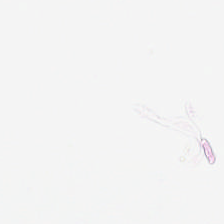H&E-stained tissue section — Background — no tissue in this field.
